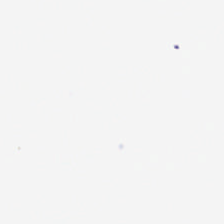H&E stain · 0.5 microns per pixel — Field content — no tissue.
